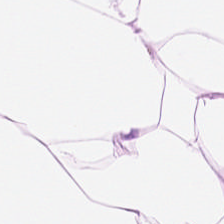H&E.
Q: Identify the tissue.
A: It is adipose tissue.
